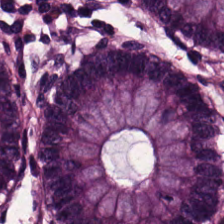H&E-stained tissue section · FFPE — This patch shows normal colonic mucosa.
